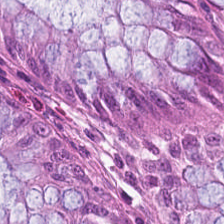Hematoxylin and eosin.
Classification — normal colonic mucosa.
